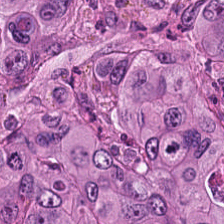224×224 pixel tile. Brightfield. Hematoxylin and eosin. Showing colorectal adenocarcinoma epithelium.
